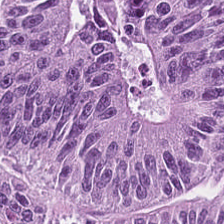The tissue here is colorectal adenocarcinoma.
